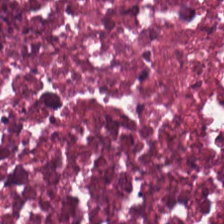FFPE; 224×224 px tile; H&E stain.
This patch shows debris.
